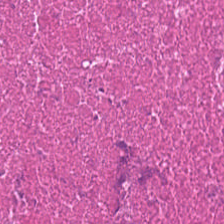H&E-stained tissue section — Q: What type of tissue is this?
A: Debris.
